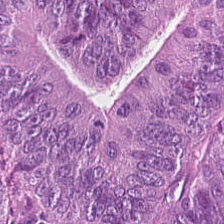Hematoxylin and eosin.
Tissue type = tumor epithelium.
